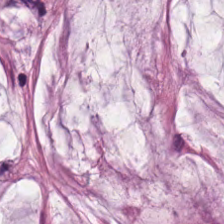224×224 pixel tile; hematoxylin-and-eosin stained section — {"tissue_type": "extracellular mucin"}
